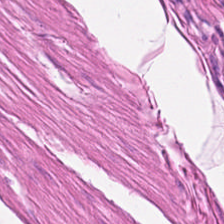H&E. Formalin-fixed paraffin-embedded section.
This field is smooth-muscle tissue.
